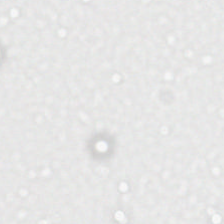224×224 px patch. H&E — No tissue present; background only.
